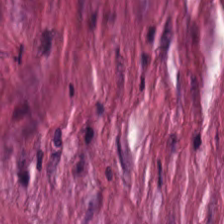Tissue type: tumor-associated stroma.
